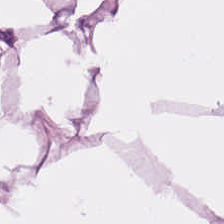Hematoxylin-and-eosin stained section. 224×224 pixel tile. 20× equivalent magnification.
This field is adipocytes.
